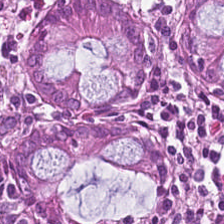H&E-stained tissue section. 0.5 µm per pixel — {"tissue_type": "normal colonic mucosa"}
